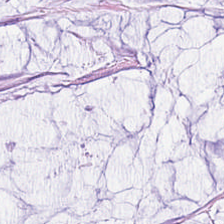Hematoxylin-and-eosin stained section — Predominant tissue — mucus.
